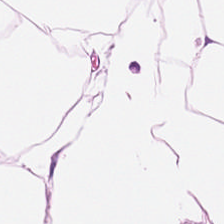Hematoxylin-and-eosin stained section.
Predominant tissue = adipocytes.
